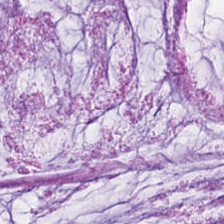Showing extracellular mucin.
